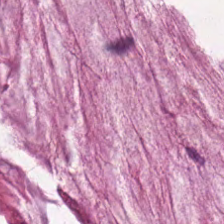0.5 microns per pixel. H&E-stained tissue section. Brightfield. Extracellular mucin.
